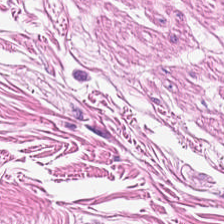Hematoxylin-and-eosin stained section — Q: What tissue type is shown here?
A: The field shows smooth muscle.
